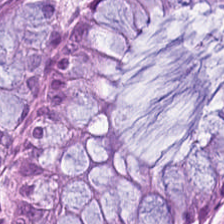H&E-stained tissue section; 224×224 pixel tile; FFPE tissue section — Predominantly non-neoplastic colon mucosa.
